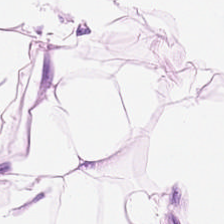Q: What tissue is shown?
A: This is adipose.
